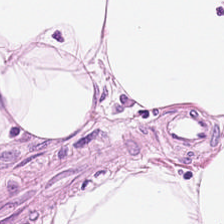Hematoxylin and eosin; 0.5 µm per pixel — Showing fat tissue.
